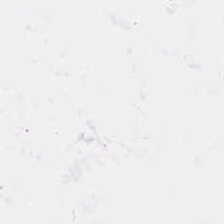Empty field — background (no tissue).
